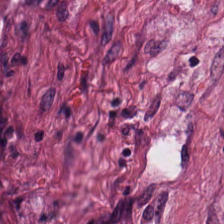Stain: hematoxylin and eosin.
Tissue class: desmoplastic stroma.
